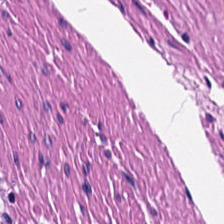H&E.
Tissue type: muscularis.
